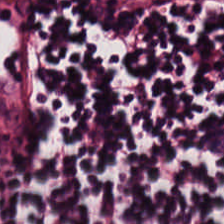0.5 µm/px · H&E — The tissue here is lymphocytic infiltrate.
